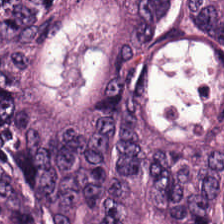Q: Identify the tissue.
A: It is adenocarcinoma.
